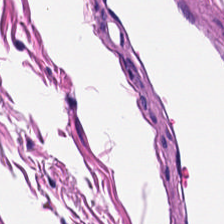Hematoxylin and eosin.
The predominant tissue is muscularis.
